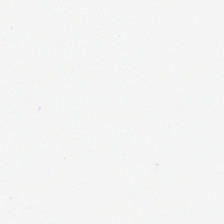Classification = background (no tissue).
